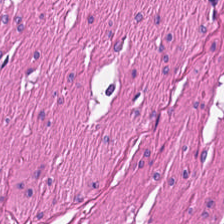Hematoxylin and eosin — Histology — muscularis.
